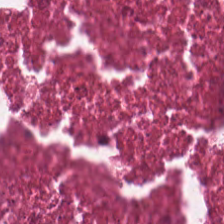224×224 px patch. Hematoxylin-and-eosin stained section. Formalin-fixed paraffin-embedded section. {"tissue_type": "debris"}
